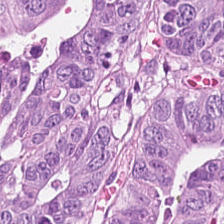Tissue type: malignant epithelium.
